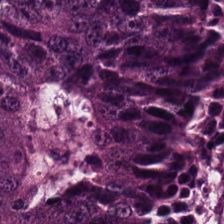Finding → tumor epithelium.
